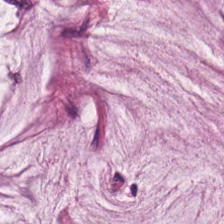H&E-stained tissue section — Predominant tissue: mucus.
